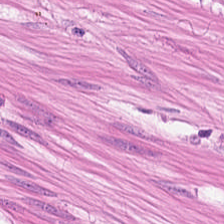H&E · WSI patch.
Finding → muscularis.
